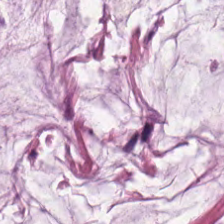Q: What is the predominant tissue type?
A: This is mucin.
